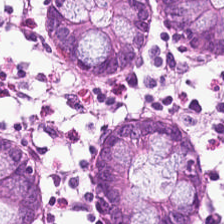Hematoxylin-and-eosin stained section — This field is benign colonic mucosa.
